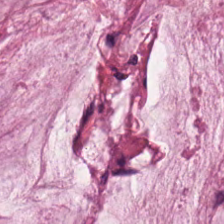Histology — extracellular mucin.
